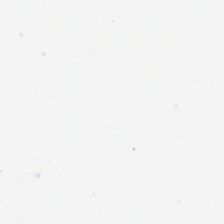224×224 px patch. Hematoxylin-and-eosin stained section. Histology — no tissue.
